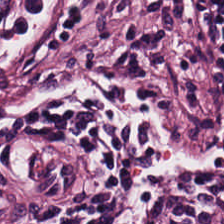H&E stain. Classification = lymphoid infiltrate.
